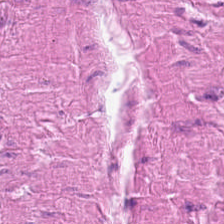H&E-stained tissue section. 0.5 µm/px.
Q: What tissue type is shown here?
A: It is smooth-muscle tissue.
